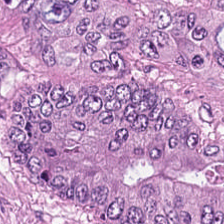Stain: H&E.
Tissue type: malignant epithelium.
